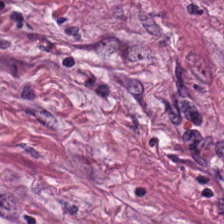Stain: H&E-stained tissue section.
Preparation: FFPE tissue section.
Resolution: 20× equivalent magnification.
Classification: desmoplastic stroma.
